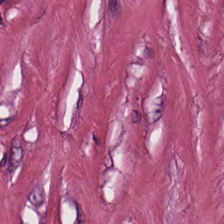Finding → cancer-associated stroma.
